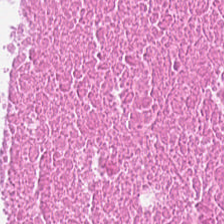H&E-stained tissue section. 224×224 px patch.
Predominant tissue — cellular debris.
